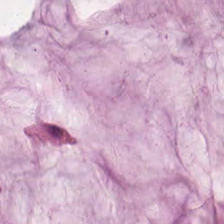H&E. Finding → extracellular mucin.
